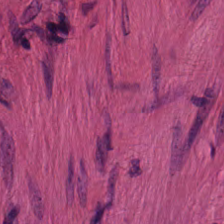Tissue type: smooth-muscle tissue.
